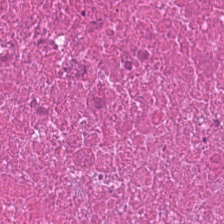H&E-stained tissue section. The tissue here is debris.
